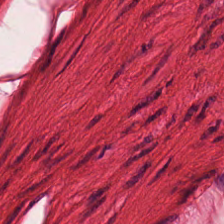H&E — The predominant tissue is smooth muscle.
